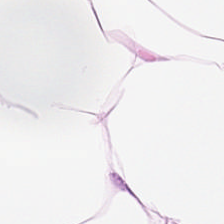Hematoxylin-and-eosin stained section — Predominantly fat tissue.
